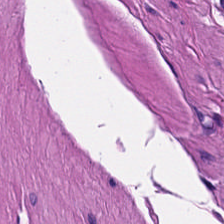Smooth muscle.
